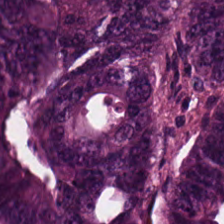The tissue here is colorectal adenocarcinoma.
